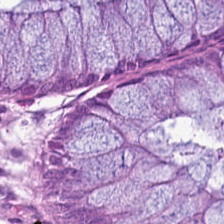Normal colon mucosa.
